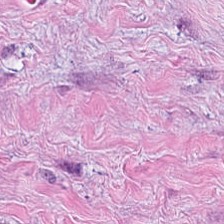Hematoxylin and eosin. This field is desmoplastic stroma.
